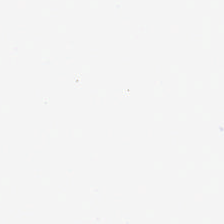H&E-stained tissue section. FFPE.
Impression → no tissue.
